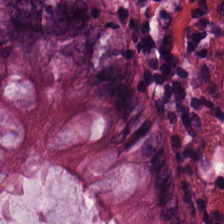Stain: H&E.
Acquisition: whole-slide-image patch.
Tissue type: normal colon mucosa.
